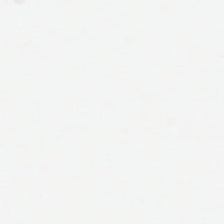H&E-stained tissue section · FFPE.
Content: background.
